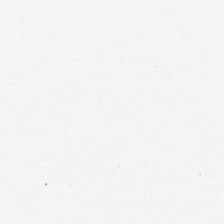H&E-stained tissue section — Empty background.
